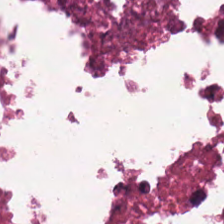224×224 pixel tile. H&E stain. This patch shows debris.
